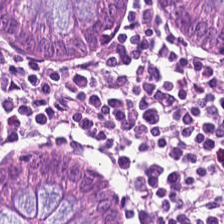Hematoxylin and eosin. Predominantly benign colonic mucosa.
